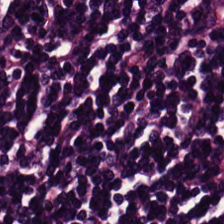Tissue class = lymphocytic infiltrate.
